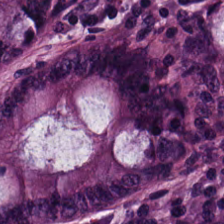0.5 µm/px · hematoxylin and eosin.
The tissue class is benign colonic mucosa.
